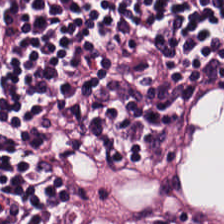The predominant tissue is lymphoid infiltrate.
